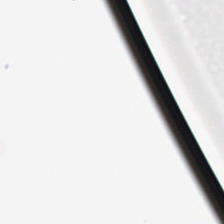H&E stain.
Histology — background (no tissue).
